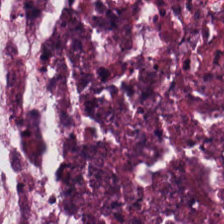Hematoxylin and eosin. Formalin-fixed paraffin-embedded section. Whole-slide-image patch. Q: What is the predominant tissue type?
A: It is necrotic debris.
